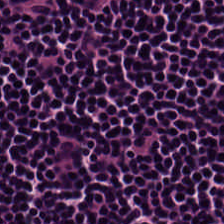Brightfield microscopy; formalin-fixed paraffin-embedded section; H&E stain — Lymphocyte aggregate.
